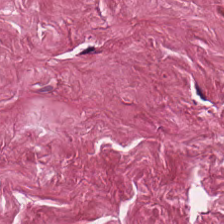Whole-slide-image patch. H&E. {"tissue_type": "cancer-associated stroma"}
